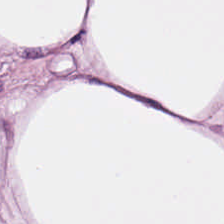H&E.
Adipose tissue.
